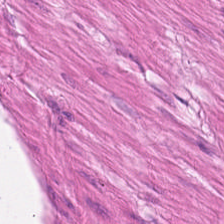224×224 pixel tile. H&E stain. Brightfield — {"tissue_type": "smooth muscle"}
